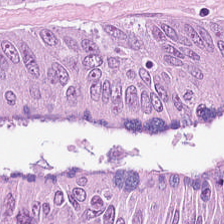The tissue here is tumor epithelium.
